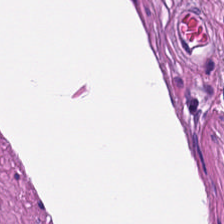Stain: hematoxylin and eosin.
Resolution: 0.5 microns per pixel.
Tissue type: smooth muscle.
